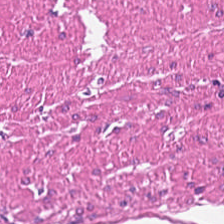Hematoxylin and eosin. The tissue class is smooth muscle.
